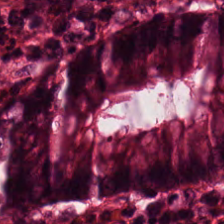Tissue class = non-neoplastic colon mucosa.
